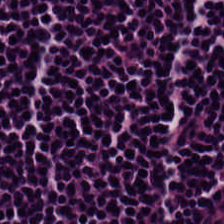Stain: H&E.
Preparation: FFPE tissue section.
Tissue class: lymphocytic infiltrate.
